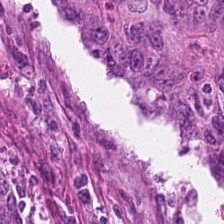Tissue = adenocarcinoma.
